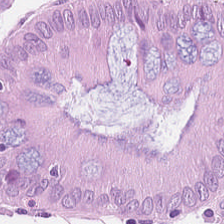H&E-stained tissue section. 224×224 px tile. 0.5 microns per pixel — Normal colon mucosa.
